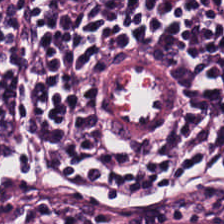H&E stain. Finding → lymphoid infiltrate.
